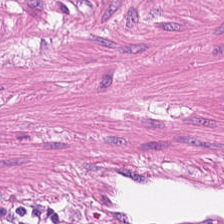Predominantly muscularis.
